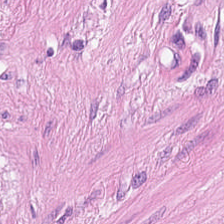Hematoxylin-and-eosin section: smooth-muscle tissue.
